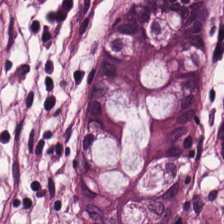H&E. Q: Classify this patch.
A: This is benign colonic mucosa.
